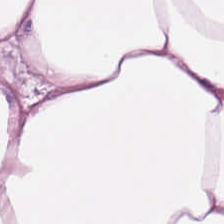H&E-stained tissue section. Q: What is shown in this field?
A: This is adipocytes.
